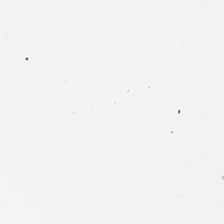H&E · FFPE tissue section.
Q: What is shown in this field?
A: It is background.
